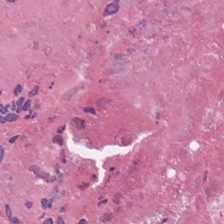This field is debris.
